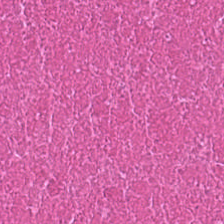H&E patch showing necrotic debris.
